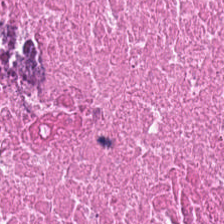The predominant tissue is necrotic debris.
